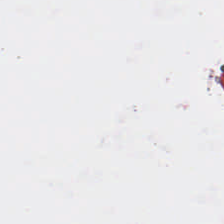Hematoxylin and eosin — This patch shows background.
